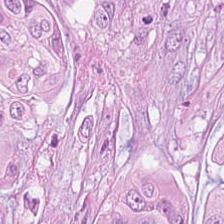224×224 px tile. H&E stain. {"tissue_type": "colorectal adenocarcinoma"}
